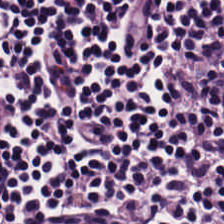H&E stain; FFPE tissue section; 0.5 µm/px — Showing lymphocytes.
